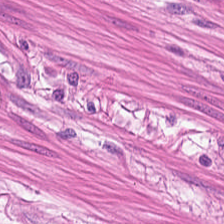H&E-stained tissue section. Q: Identify the tissue.
A: This is smooth-muscle tissue.
